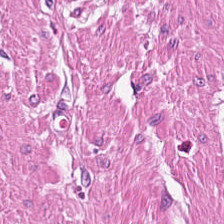H&E-stained tissue section — {"tissue_type": "smooth-muscle tissue"}
